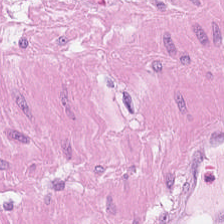H&E-stained tissue section showing muscularis.
